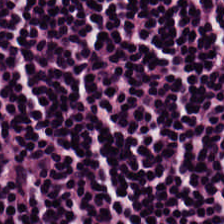0.5 µm per pixel. H&E stain — The tissue here is lymphocytic infiltrate.
